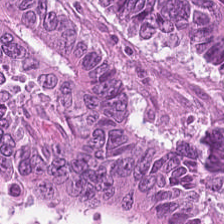H&E stain. This field is colorectal adenocarcinoma.
